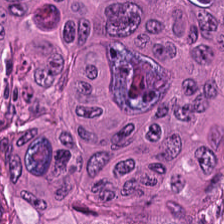Hematoxylin-and-eosin section: adenocarcinoma.
